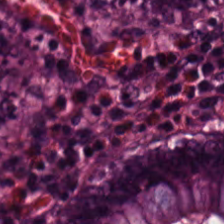Whole-slide-image patch; FFPE; H&E-stained tissue section.
Tissue class: normal colonic mucosa.
